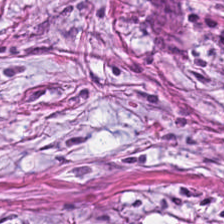Stain: H&E.
Preparation: FFPE tissue section.
Tissue class: cancer-associated stroma.
